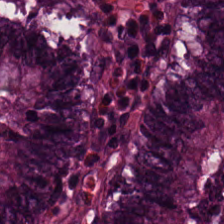Tissue class = non-neoplastic colon mucosa.
